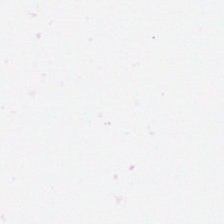Hematoxylin and eosin; FFPE tissue section. {"content": "background"}
